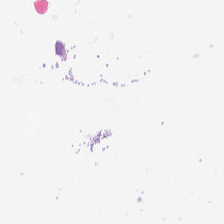H&E-stained tissue section. Content = empty background.
